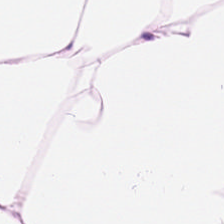This patch shows adipose tissue.
